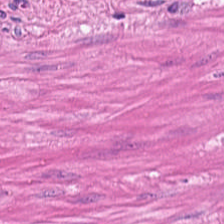Hematoxylin and eosin. Smooth muscle.
